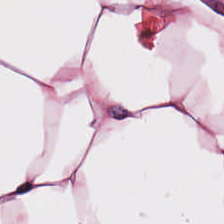Hematoxylin-and-eosin stained section — Finding — adipose tissue.
